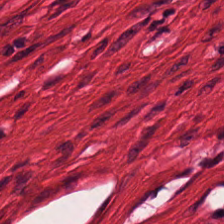H&E-stained section; the field shows muscularis.
